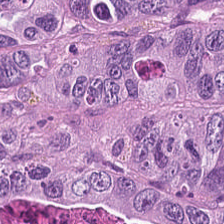Hematoxylin-and-eosin stained section. Q: What type of tissue is this?
A: It is colorectal adenocarcinoma epithelium.
